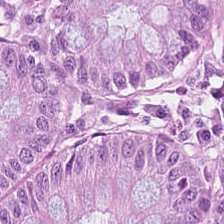Stain: hematoxylin-and-eosin stained section.
Resolution: 0.5 µm per pixel.
Tissue type: normal colonic mucosa.
